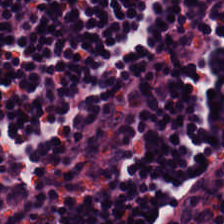Whole-slide-image patch; H&E-stained tissue section; 224×224 pixel tile — Tissue = lymphoid infiltrate.
